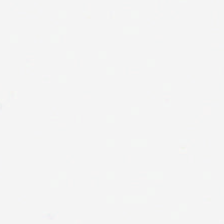20× equivalent magnification; H&E-stained tissue section. Q: Classify this patch.
A: This is background (no tissue).
